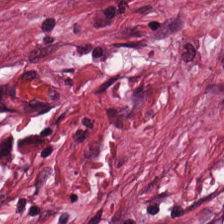H&E stain. Predominant tissue — cancer-associated stroma.
